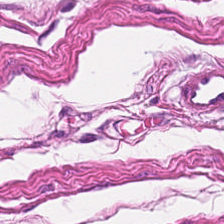The tissue here is muscularis.
